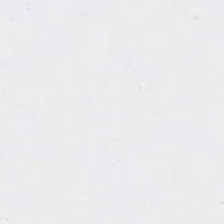Stain: hematoxylin-and-eosin stained section.
Field content: background (no tissue).
